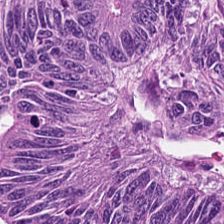Whole-slide-image patch; hematoxylin-and-eosin stained section — Showing malignant epithelium.
